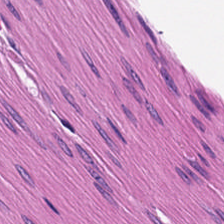Hematoxylin-and-eosin stained section. Impression → muscularis.
